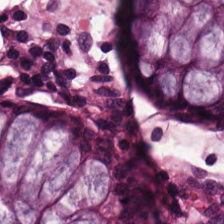Stain: H&E-stained tissue section.
Tissue type: normal colonic mucosa.
